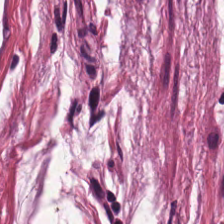Formalin-fixed paraffin-embedded section · H&E · brightfield microscopy.
{"tissue_type": "mucus"}
